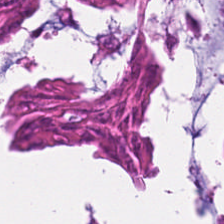Stain: H&E stain.
Preparation: FFPE.
Tissue class: colorectal adenocarcinoma epithelium.
